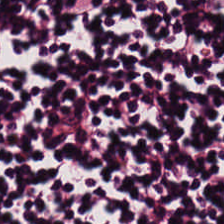Hematoxylin-and-eosin stained section — Tissue type: lymphocyte aggregate.
